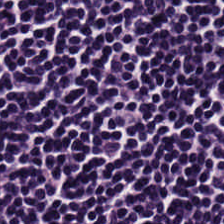Formalin-fixed paraffin-embedded section · 224×224 px patch · H&E stain. Q: What is the predominant tissue type?
A: This is lymphocytic infiltrate.
